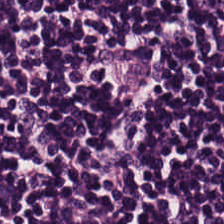Brightfield microscopy; H&E-stained tissue section.
Predominant tissue: lymphocytes.
